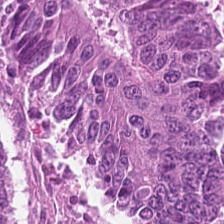Hematoxylin-and-eosin stained section — Tumor epithelium.
